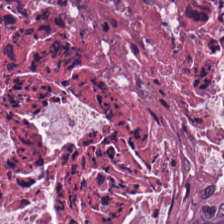Brightfield. FFPE. Hematoxylin and eosin. Debris.
